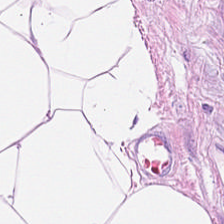Hematoxylin-and-eosin stained section; brightfield microscopy. Q: What type of tissue is this?
A: This is adipose.
